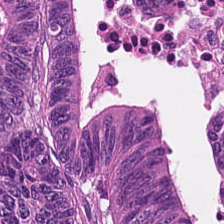Stain: H&E.
Resolution: 0.5 µm per pixel.
Tissue: adenocarcinoma.
